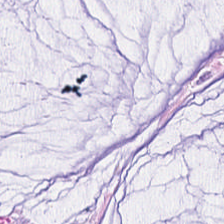H&E; 224×224 px tile — The predominant tissue is mucus.
